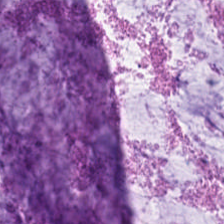Tissue = mucus.
